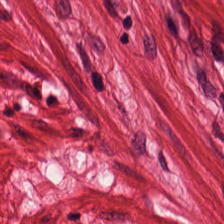0.5 µm per pixel. Hematoxylin and eosin. FFPE tissue section.
Predominant tissue: smooth muscle.
